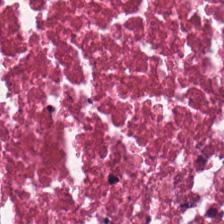H&E-stained tissue section. Predominant tissue — debris.
